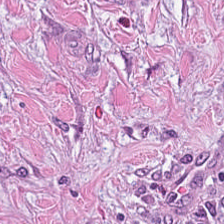FFPE · H&E — This patch shows tumor stroma.
